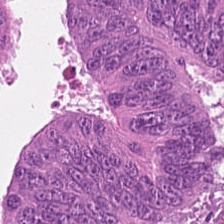Histology → colorectal adenocarcinoma epithelium.
